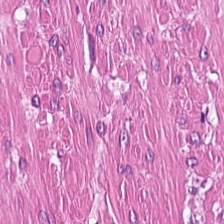Impression — muscularis.
